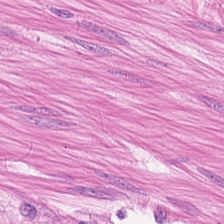Stain: hematoxylin and eosin.
Preparation: formalin-fixed paraffin-embedded section.
Resolution: 0.5 µm/px.
Tissue class: muscularis.
